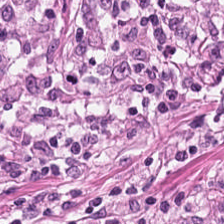This patch shows tumor stroma.
